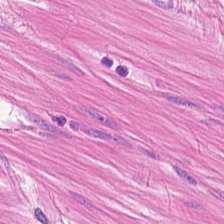Tissue type = muscularis.
